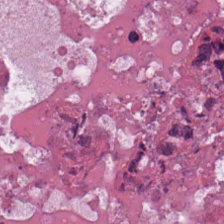Predominant tissue = cellular debris.
